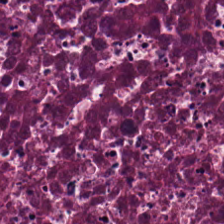Brightfield microscopy. Hematoxylin and eosin.
The predominant tissue is necrotic debris.
